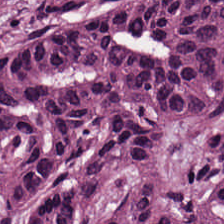H&E. 0.5 µm/px. FFPE — The tissue is malignant epithelium.
